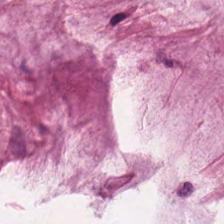0.5 µm/px. 224×224 px patch. Hematoxylin and eosin — The tissue here is mucin.
